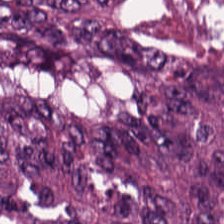Formalin-fixed paraffin-embedded section · H&E stain · 224×224 pixel tile — Q: What does this patch show?
A: Colorectal adenocarcinoma epithelium.
